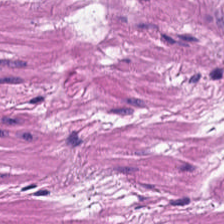Q: What type of tissue is this?
A: It is muscularis.
